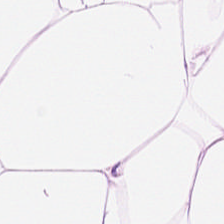Hematoxylin-and-eosin stained section · FFPE tissue section. Histology → adipocytes.
